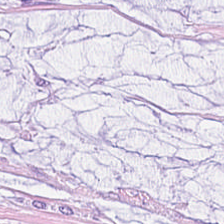Hematoxylin and eosin — Predominant tissue: mucus.
